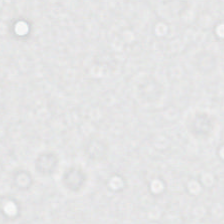Content — background (no tissue).
